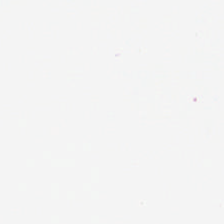Q: What is shown here?
A: Background.
